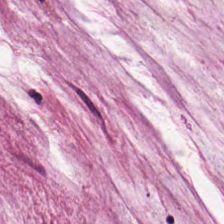Hematoxylin-and-eosin section: extracellular mucin.
